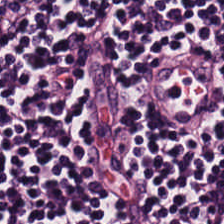H&E-stained tissue section. The classification is lymphoid infiltrate.
